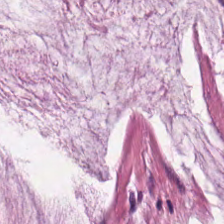H&E stain. 0.5 µm per pixel. Q: What does this patch show?
A: The field shows mucus.
